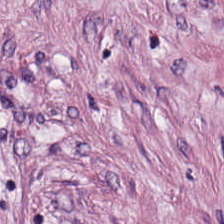Stain: hematoxylin-and-eosin stained section.
Tissue: tumor stroma.
